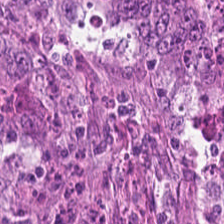FFPE · H&E — The tissue here is malignant epithelium.
